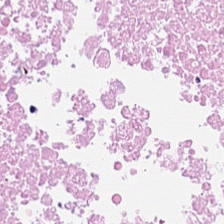Hematoxylin and eosin. Q: What is shown in this field?
A: The field shows debris.
